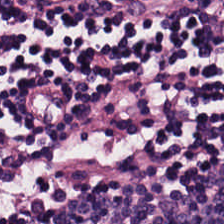0.5 µm/px. H&E stain.
This patch shows lymphocytes.
